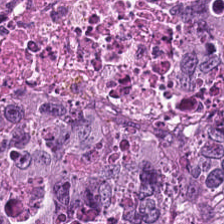H&E stain; 0.5 µm per pixel — The predominant tissue is malignant epithelium.
